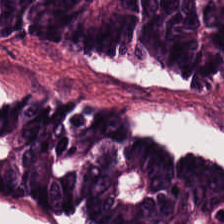Hematoxylin-and-eosin stained section · WSI patch · formalin-fixed paraffin-embedded section.
Histology → malignant epithelium.
